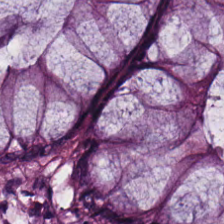Hematoxylin and eosin — This patch shows benign colonic mucosa.
